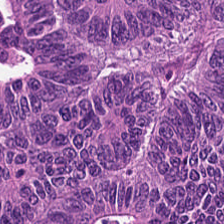H&E stain. Formalin-fixed paraffin-embedded section — Impression — colorectal adenocarcinoma.
